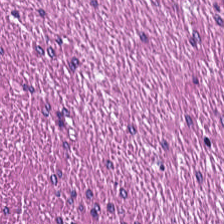WSI patch · 224×224 px patch · H&E-stained tissue section.
The predominant tissue is smooth muscle.
